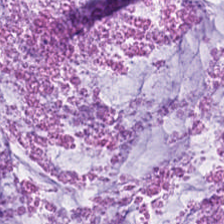H&E — Q: What is shown here?
A: This is extracellular mucin.
